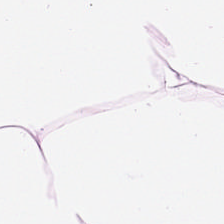0.5 microns per pixel; hematoxylin and eosin.
The tissue class is fat tissue.
